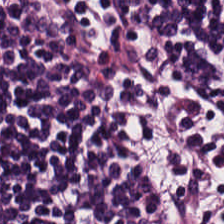Tissue class: lymphocytes.
